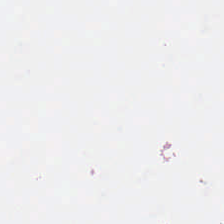The classification is no tissue.
